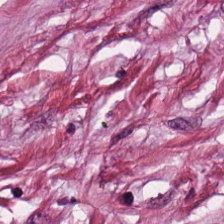Classification = tumor stroma.
